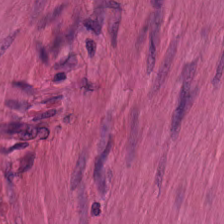Hematoxylin and eosin — Classification = smooth-muscle tissue.
